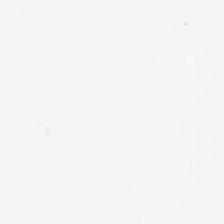Whole-slide-image patch. Hematoxylin and eosin.
Empty field — empty background.
